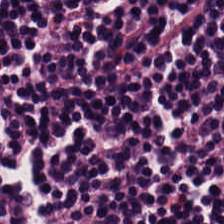Brightfield microscopy · H&E. Q: Classify this patch.
A: The field shows lymphocyte aggregate.
